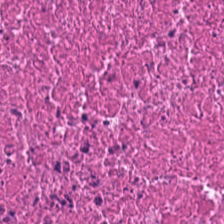Stain: hematoxylin and eosin.
Classification: necrotic debris.
